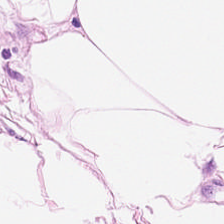224×224 px tile. H&E-stained tissue section. Adipose tissue.
